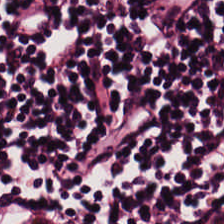H&E stain.
Tissue class — lymphocytic infiltrate.
